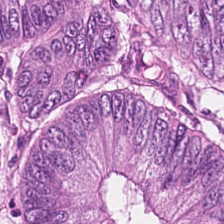Stain: H&E stain.
Tissue: colorectal adenocarcinoma epithelium.
